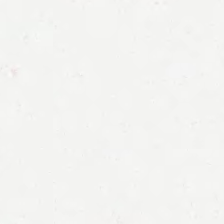FFPE. Hematoxylin-and-eosin stained section. 224×224 px patch. Q: What does this patch show?
A: Empty background.
